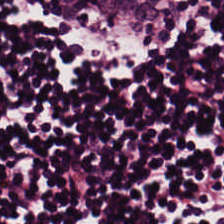FFPE · H&E-stained tissue section.
Predominantly lymphocytes.
